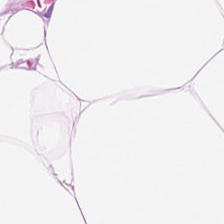Whole-slide-image patch; H&E stain — Adipose tissue.
